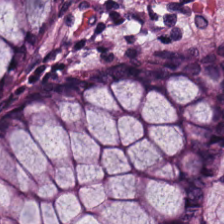Stain: H&E.
Preparation: formalin-fixed paraffin-embedded section.
Tile size: 224×224 pixel tile.
Predominant tissue: non-neoplastic colon mucosa.
